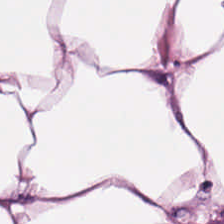Hematoxylin and eosin. Predominantly adipose tissue.
